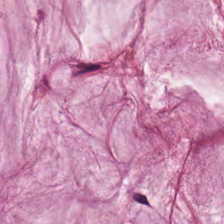Hematoxylin-and-eosin stained section — The tissue is extracellular mucin.
